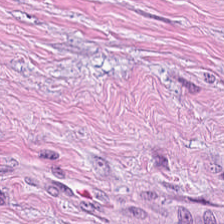FFPE tissue section; hematoxylin and eosin.
The tissue here is tumor stroma.
